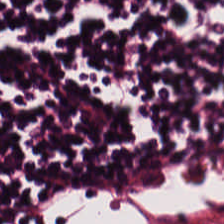Hematoxylin and eosin — Predominantly lymphoid infiltrate.
